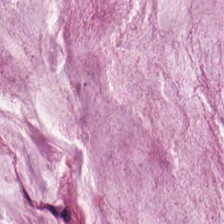Tissue — mucin.
